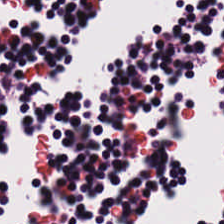FFPE tissue section; H&E-stained tissue section; whole-slide-image patch. Predominantly lymphoid infiltrate.
